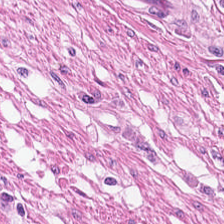H&E-stained tissue section — Showing muscularis.
